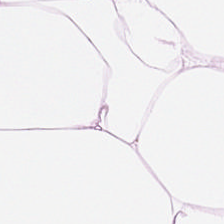Whole-slide-image patch · hematoxylin and eosin · 224×224 pixel tile. The tissue here is adipose.
